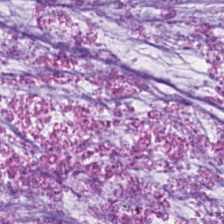Stain: hematoxylin-and-eosin stained section.
Tile size: 224×224 px tile.
Tissue type: extracellular mucin.
